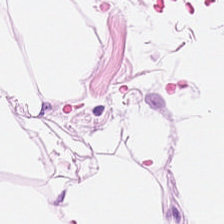0.5 µm/px. H&E-stained tissue section.
Predominant tissue = adipose.
